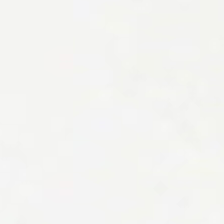This patch shows background (no tissue).
